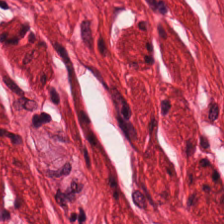0.5 microns per pixel; H&E. Predominantly muscularis.
